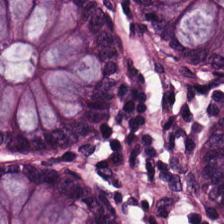Normal colonic mucosa.
